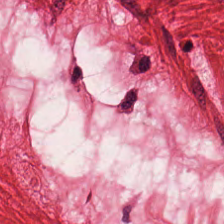224×224 pixel tile; H&E-stained tissue section — Q: What is shown here?
A: It is smooth muscle.
